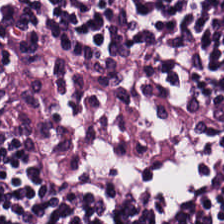H&E-stained tissue section.
Q: What tissue type is shown here?
A: It is lymphoid infiltrate.
